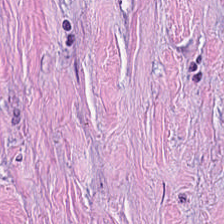Q: What tissue is shown?
A: Tumor-associated stroma.
